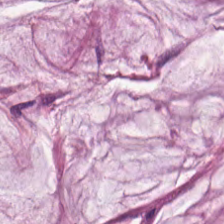Hematoxylin-and-eosin stained section. {"tissue_type": "mucin"}
